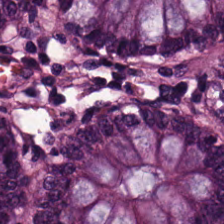Tissue type — benign colonic mucosa.
